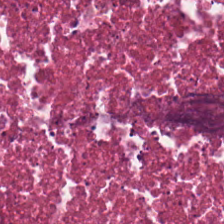Stain: H&E stain.
Predominant tissue: debris.
